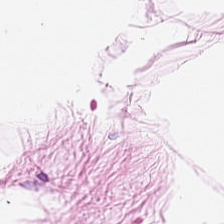Stain: hematoxylin and eosin.
Preparation: formalin-fixed paraffin-embedded section.
Tissue type: adipose.
